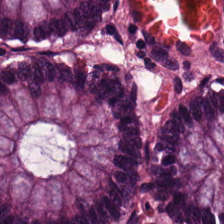Formalin-fixed paraffin-embedded section · H&E-stained tissue section.
This field is normal colon mucosa.
